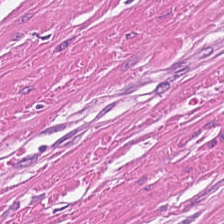H&E · FFPE. {"tissue_type": "smooth-muscle tissue"}
